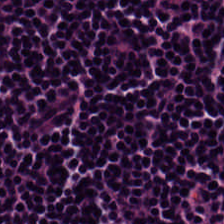Q: What type of tissue is this?
A: It is lymphocytes.
